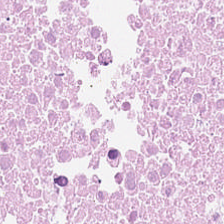H&E; brightfield microscopy.
Q: What is the predominant tissue type?
A: This is necrotic debris.
